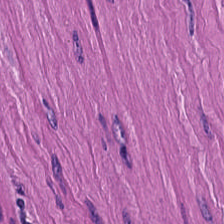H&E.
The tissue here is muscularis.
